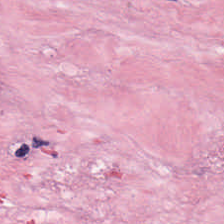Hematoxylin and eosin.
Predominant tissue = desmoplastic stroma.
